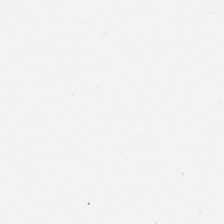No tissue present; background only.
